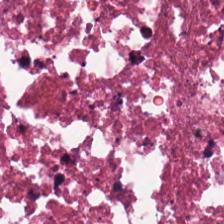Hematoxylin and eosin — Q: Classify this patch.
A: The field shows cellular debris.
